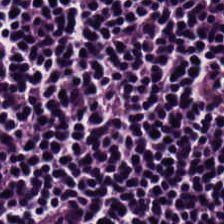224×224 px tile · formalin-fixed paraffin-embedded section · H&E-stained tissue section.
Predominantly lymphocyte aggregate.
